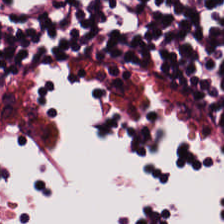Hematoxylin and eosin.
Predominant tissue = lymphocyte aggregate.
